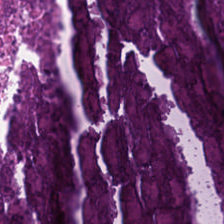H&E-stained tissue section. Impression → necrotic debris.
